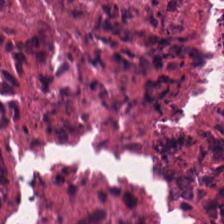Stain: hematoxylin and eosin.
Resolution: 20× equivalent magnification.
Classification: debris.
